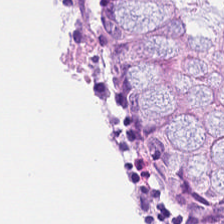Q: Identify the tissue.
A: Normal colonic mucosa.
